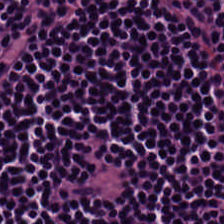H&E stain; FFPE tissue section — The predominant tissue is lymphoid infiltrate.
